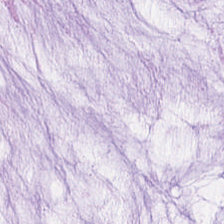H&E-stained tissue section. 224×224 px tile. This patch shows mucus.
